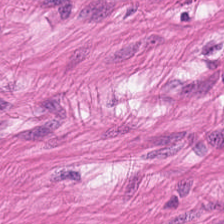H&E-stained tissue section. The predominant tissue is muscularis.
